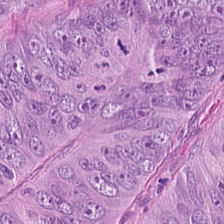20× equivalent magnification. Hematoxylin-and-eosin stained section. 224×224 px tile. Classification = colorectal adenocarcinoma epithelium.
